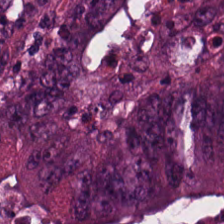H&E stain — Adenocarcinoma.
